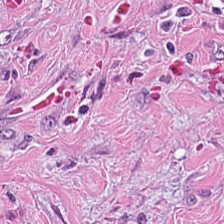0.5 microns per pixel. Hematoxylin and eosin — Impression → tumor stroma.
